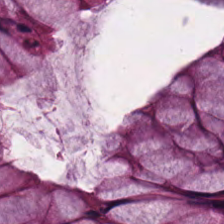Classification: normal colon mucosa.
